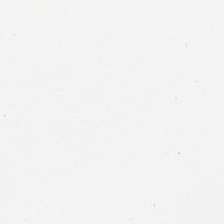Hematoxylin and eosin. Content — background (no tissue).
